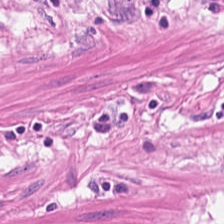H&E-stained tissue section. Tissue: smooth muscle.
